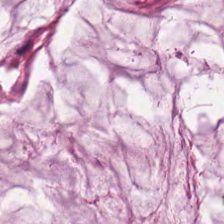H&E stain. 224×224 px patch. Impression → mucus.
